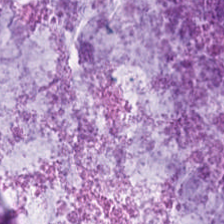H&E-stained tissue section.
The predominant tissue is mucus.
